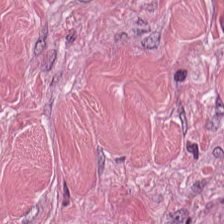FFPE; hematoxylin and eosin; 224×224 px tile.
This field is desmoplastic stroma.
